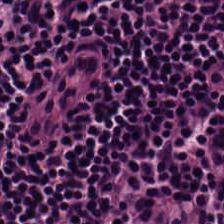Hematoxylin and eosin — Q: What is shown in this field?
A: This is lymphocytes.
